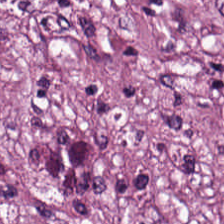Stain: H&E.
Preparation: FFPE tissue section.
Acquisition: brightfield.
Tissue type: tumor stroma.
